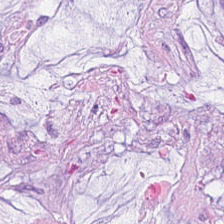Hematoxylin and eosin.
The predominant tissue is mucus.
